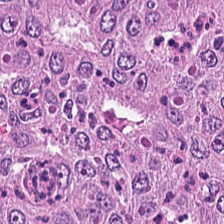H&E stain. Impression → adenocarcinoma.
